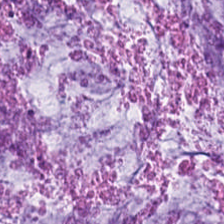0.5 µm per pixel; H&E-stained tissue section — The predominant tissue is extracellular mucin.
